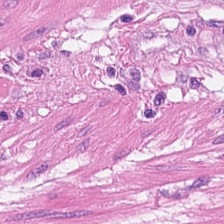H&E-stained tissue section. The predominant tissue is smooth-muscle tissue.
